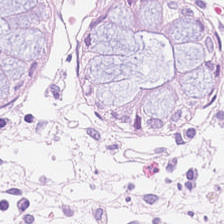Normal colonic mucosa.
